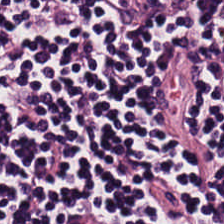The tissue is lymphocyte aggregate.
